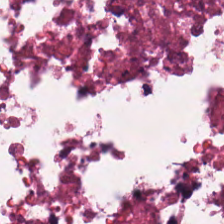H&E patch showing necrotic debris.
